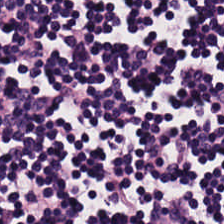Stain: H&E stain.
Acquisition: whole-slide-image patch.
Tissue: lymphocyte aggregate.
